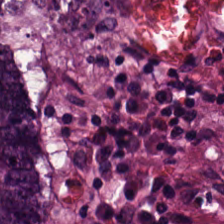Hematoxylin-and-eosin stained section. Brightfield microscopy — Predominantly malignant epithelium.
